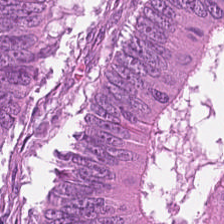Impression — colorectal adenocarcinoma.
